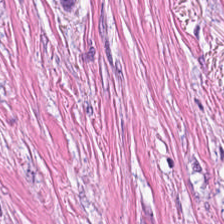224×224 pixel tile · 0.5 microns per pixel · hematoxylin-and-eosin stained section.
The tissue here is desmoplastic stroma.
